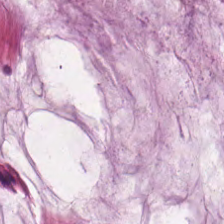224×224 px tile; FFPE tissue section; hematoxylin and eosin. Classification = mucin.
